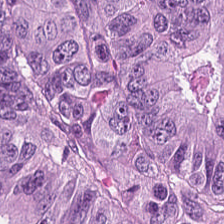Predominant tissue — colorectal adenocarcinoma epithelium.
